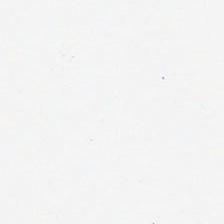H&E stain. Empty field — empty background.
